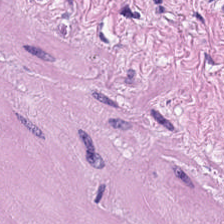Hematoxylin-and-eosin stained section — Tissue type = muscularis.
